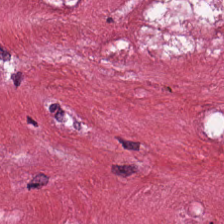H&E stain. Finding — cancer-associated stroma.
